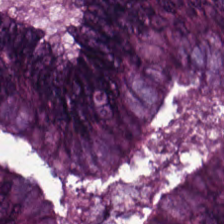Q: What tissue is shown?
A: This is colorectal adenocarcinoma.
